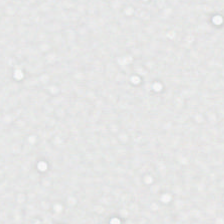Hematoxylin-and-eosin stained section. Content: no tissue.
